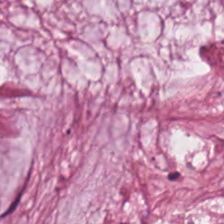Hematoxylin-and-eosin stained section — Q: What type of tissue is this?
A: Extracellular mucin.
